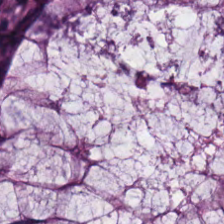Stain: hematoxylin and eosin.
Resolution: 0.5 microns per pixel.
Predominant tissue: benign colonic mucosa.
